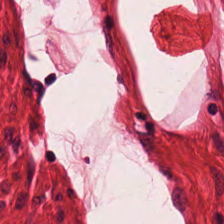Stain: H&E stain.
Classification: smooth muscle.
